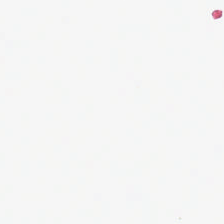FFPE tissue section; hematoxylin-and-eosin stained section.
Background (no tissue).
